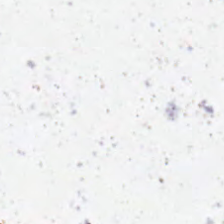0.5 µm per pixel · H&E-stained tissue section.
Finding → background (no tissue).
